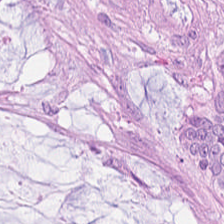H&E stain.
This field is colorectal adenocarcinoma epithelium.
